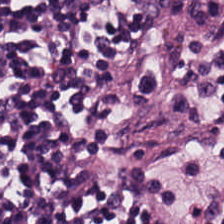Stain: H&E.
Tissue type: lymphoid infiltrate.
